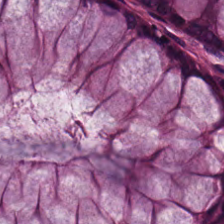Formalin-fixed paraffin-embedded section · H&E — Classification = non-neoplastic colon mucosa.
